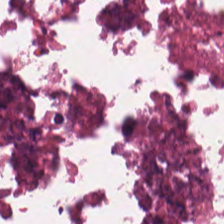The tissue here is necrotic debris.
